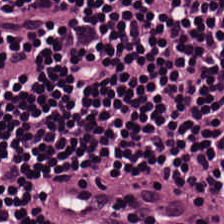H&E stain; 0.5 microns per pixel; FFPE tissue section — The predominant tissue is lymphoid infiltrate.
